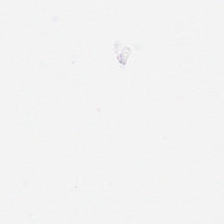Whole-slide-image patch; H&E stain; 224×224 px patch. Q: What is shown in this field?
A: Background (no tissue).
